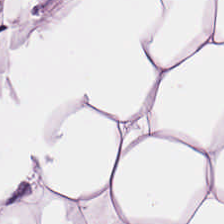H&E-stained tissue section.
Showing adipocytes.
